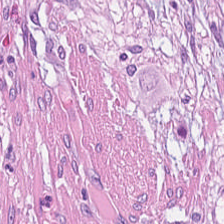Brightfield microscopy. H&E. 224×224 px tile.
The tissue here is tumor-associated stroma.
